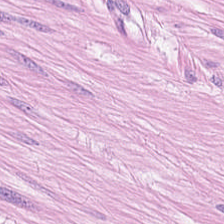Stain: H&E-stained tissue section.
Classification: muscularis.
